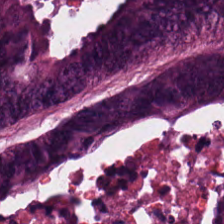H&E — Tissue type = colorectal adenocarcinoma.
